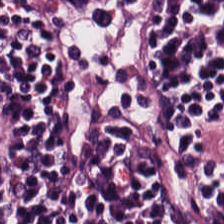Hematoxylin-and-eosin stained section · FFPE — Classification — lymphocytes.
